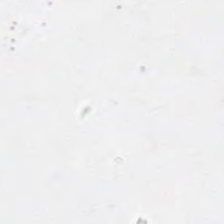20× equivalent magnification · H&E.
Q: What is shown here?
A: It is empty background.
